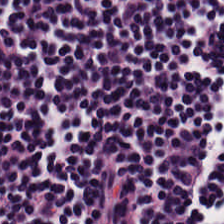H&E-stained tissue section; 224×224 pixel tile. Showing lymphocytic infiltrate.
